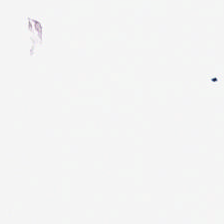H&E. 0.5 µm/px — The content is background.
